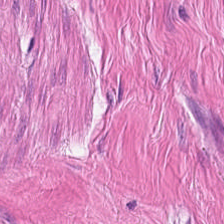20× equivalent magnification. Formalin-fixed paraffin-embedded section. H&E-stained tissue section — Q: What is shown here?
A: The field shows smooth muscle.
